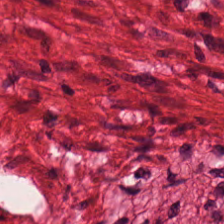Hematoxylin-and-eosin section: smooth muscle.
